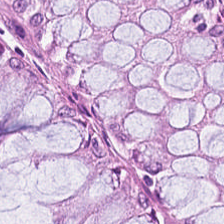Stain: H&E-stained tissue section.
Tile size: 224×224 px patch.
Preparation: FFPE tissue section.
Tissue type: normal colonic mucosa.
